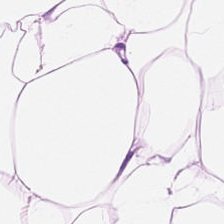224×224 px tile. Hematoxylin-and-eosin stained section. 20× equivalent magnification. Predominant tissue: adipose.
